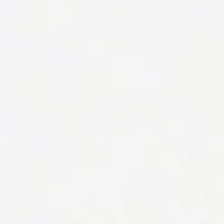H&E-stained tissue section — No tissue.
